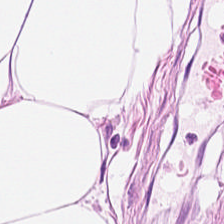H&E-stained tissue section; formalin-fixed paraffin-embedded section; 224×224 px patch. Adipose tissue.
